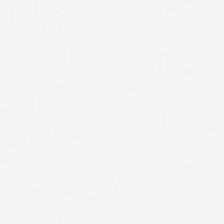Stain: H&E-stained tissue section.
Tile size: 224×224 pixel tile.
Content: background.
